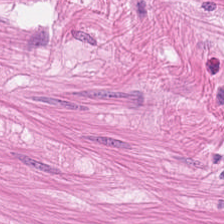0.5 µm/px; FFPE tissue section; H&E-stained tissue section — Q: What tissue type is shown here?
A: The field shows muscularis.
